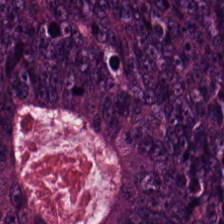FFPE tissue section; H&E-stained tissue section — Tissue type = tumor epithelium.
